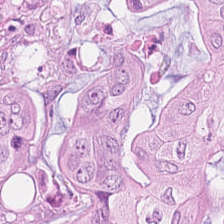H&E. Predominantly malignant epithelium.
